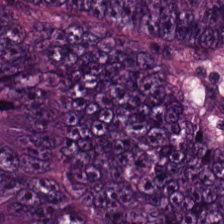Hematoxylin-and-eosin stained section. Showing tumor epithelium.
